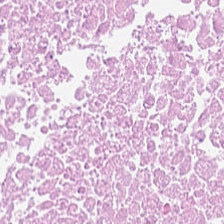Predominantly cellular debris.
